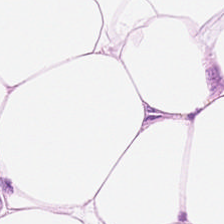224×224 px tile · H&E stain · WSI patch.
Impression — adipocytes.
